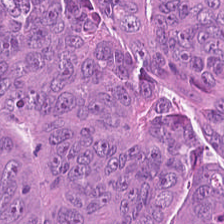Hematoxylin-and-eosin stained section. WSI patch.
Classification = colorectal adenocarcinoma.
